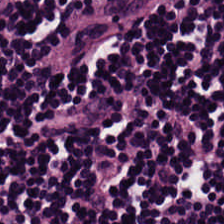H&E-stained tissue section.
Impression — lymphoid infiltrate.
